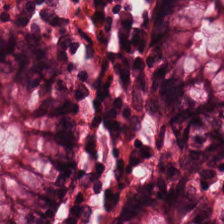H&E stain.
Impression — normal colonic mucosa.
